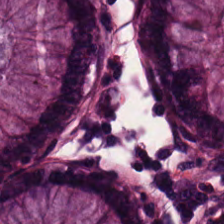Hematoxylin and eosin. Tissue = normal colonic mucosa.
